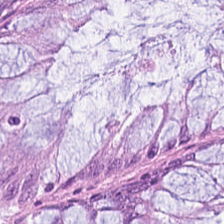H&E stain. This patch shows normal colon mucosa.
